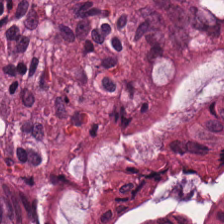Stain: hematoxylin and eosin.
Tissue type: non-neoplastic colon mucosa.
